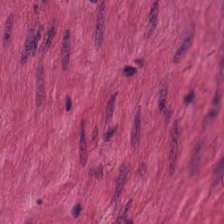H&E; brightfield microscopy; FFPE.
Q: Identify the tissue.
A: Smooth-muscle tissue.
